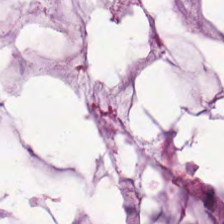H&E · FFPE — Tissue type: mucin.
